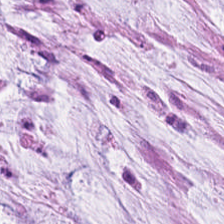H&E. Mucus.
